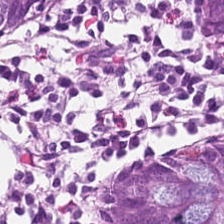H&E. Q: What type of tissue is this?
A: It is normal colon mucosa.
